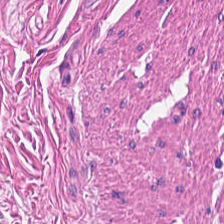Hematoxylin-and-eosin stained section. {"tissue_type": "muscularis"}
